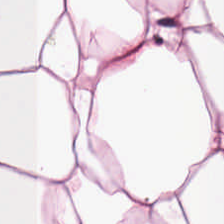Hematoxylin and eosin; 0.5 µm per pixel — Showing fat tissue.
